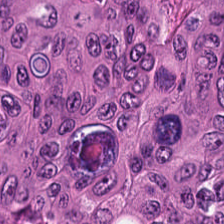Predominant tissue = adenocarcinoma.
